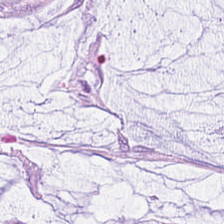Hematoxylin-and-eosin stained section · FFPE — The predominant tissue is mucin.
